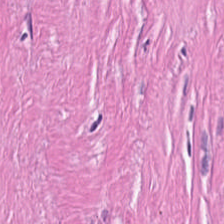Formalin-fixed paraffin-embedded section. H&E. Tissue = cancer-associated stroma.
